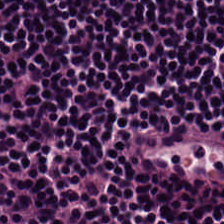H&E stain — Classification — lymphocyte aggregate.
